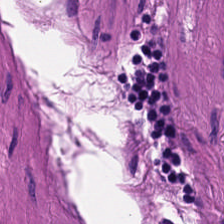H&E.
Classification — muscularis.
